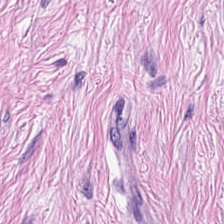Q: What is shown here?
A: This is desmoplastic stroma.
